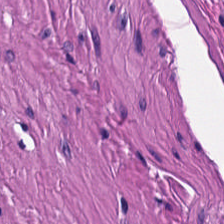Stain: H&E.
Predominant tissue: smooth-muscle tissue.
